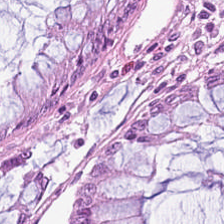Stain: hematoxylin-and-eosin stained section.
Acquisition: brightfield.
Resolution: 0.5 µm per pixel.
Tissue: non-neoplastic colon mucosa.
